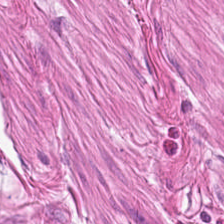H&E; 224×224 px patch; brightfield. Q: Classify this patch.
A: The field shows smooth-muscle tissue.
